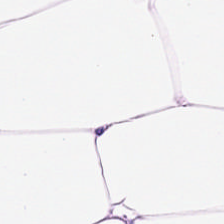Stain: H&E stain.
Predominant tissue: adipose.
